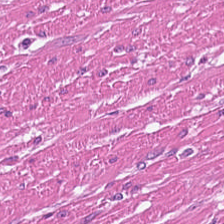Stain: H&E.
Tissue type: smooth-muscle tissue.
